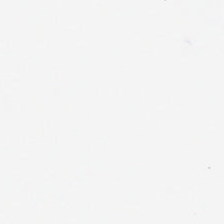H&E stain; whole-slide-image patch; 0.5 µm per pixel.
Q: What does this patch show?
A: Background (no tissue).
